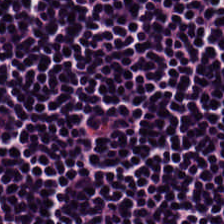H&E-stained tissue section; brightfield microscopy; 224×224 px tile.
This field is lymphoid infiltrate.
